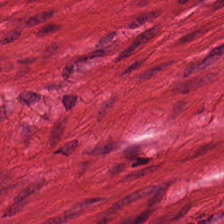H&E-stained tissue section. This patch shows smooth muscle.
